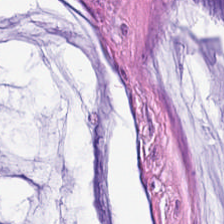Stain: H&E stain.
Resolution: 0.5 microns per pixel.
Classification: mucus.
